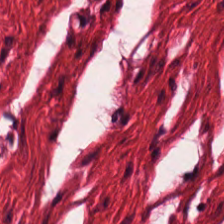Stain: hematoxylin-and-eosin stained section.
Tissue type: muscularis.
